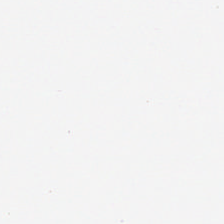Hematoxylin and eosin · formalin-fixed paraffin-embedded section.
Q: What is shown here?
A: The field shows background.
